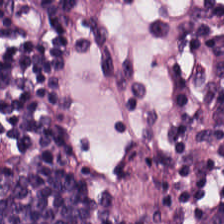Finding → lymphocytic infiltrate.
